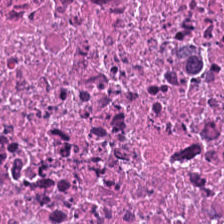H&E; FFPE; 224×224 px patch.
The tissue here is necrotic debris.
